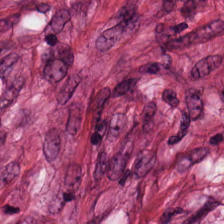Hematoxylin-and-eosin stained section. Q: What is the predominant tissue type?
A: Tumor-associated stroma.
